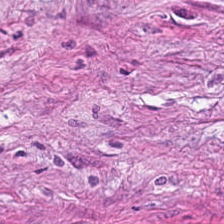Classification = tumor-associated stroma.
